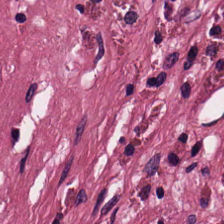Tissue — tumor stroma.
